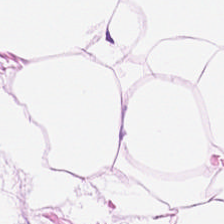Q: What is the predominant tissue type?
A: This is fat tissue.
